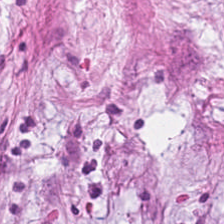H&E stain — Q: What is the predominant tissue type?
A: The field shows cancer-associated stroma.
